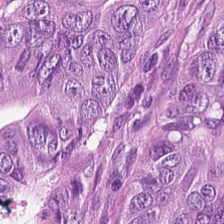Tissue class — tumor epithelium.
